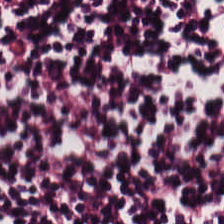224×224 pixel tile · H&E stain — {"tissue_type": "lymphocyte aggregate"}
